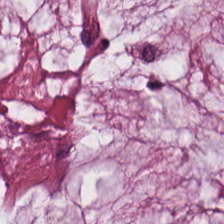Hematoxylin and eosin — The predominant tissue is mucus.
